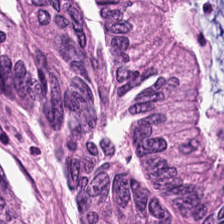This patch shows tumor epithelium.
